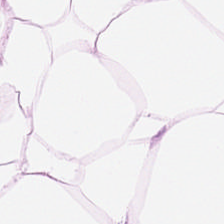H&E-stained tissue section. Predominant tissue = fat tissue.
